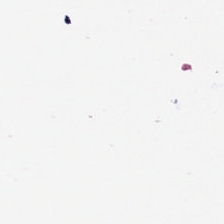H&E stain. 224×224 px patch. Brightfield — No tissue present; background only.
